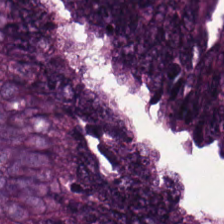H&E stain. FFPE. Whole-slide-image patch — This field is adenocarcinoma.
